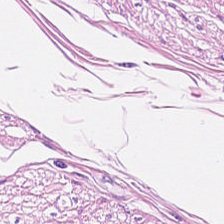Impression — smooth muscle.
